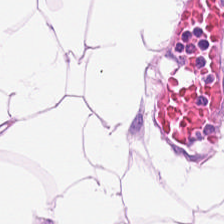H&E-stained tissue section — Histology → adipose.
